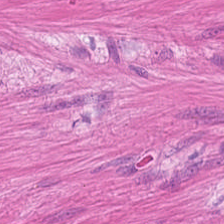H&E stain · brightfield.
Classification: muscularis.
